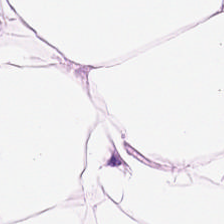H&E-stained tissue section.
This patch shows adipocytes.
